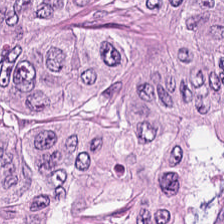Hematoxylin-and-eosin stained section. Adenocarcinoma.
